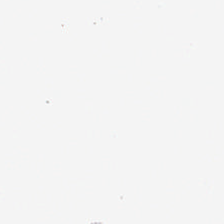0.5 µm per pixel · hematoxylin-and-eosin stained section.
Content = no tissue.
